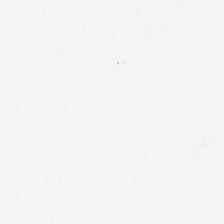H&E stain; brightfield. Field content = empty background.
